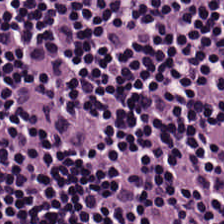H&E-stained tissue section.
The tissue here is lymphocytes.
